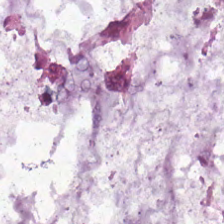H&E-stained tissue section.
Tissue class = mucus.
